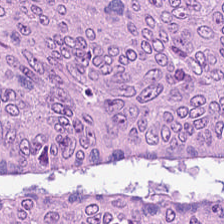Stain: hematoxylin-and-eosin stained section.
Acquisition: whole-slide-image patch.
Tissue type: malignant epithelium.
